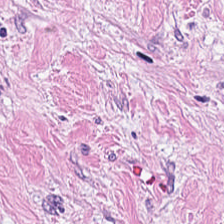Hematoxylin-and-eosin stained section.
Q: What does this patch show?
A: It is tumor stroma.
